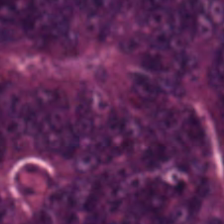Whole-slide-image patch; hematoxylin and eosin — Impression — colorectal adenocarcinoma.
